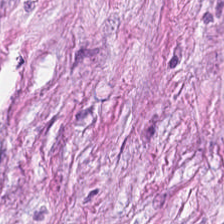The predominant tissue is tumor-associated stroma.
